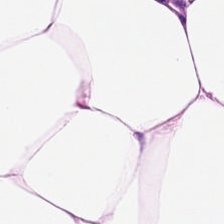Tissue — adipose tissue.
